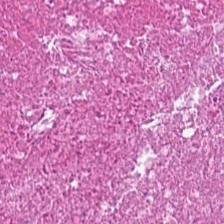Q: What is the predominant tissue type?
A: The field shows cellular debris.
